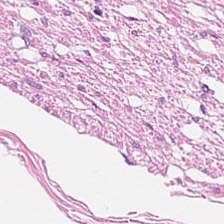The tissue here is smooth muscle.
